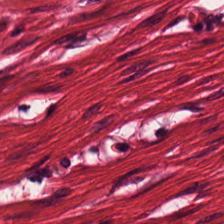H&E; WSI patch.
This field is smooth-muscle tissue.
